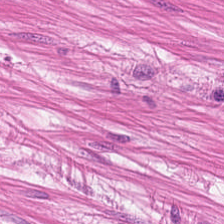Hematoxylin-and-eosin stained section.
Histology — smooth-muscle tissue.
